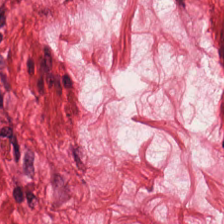Formalin-fixed paraffin-embedded section · hematoxylin-and-eosin stained section.
Smooth-muscle tissue.
